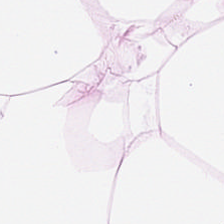Q: What tissue type is shown here?
A: This is adipocytes.
